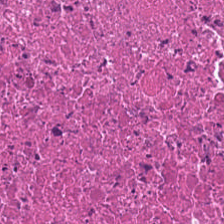224×224 px patch. H&E — Finding → necrotic debris.
